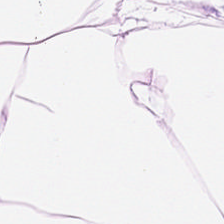Predominantly adipose tissue.
